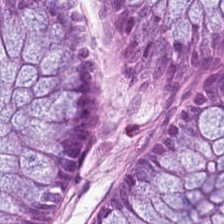H&E stain; 0.5 µm/px. Q: Identify the tissue.
A: The field shows normal colonic mucosa.
